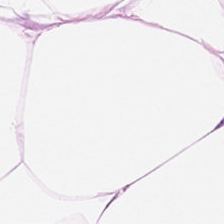Hematoxylin and eosin · 0.5 µm/px — Predominantly adipose tissue.
